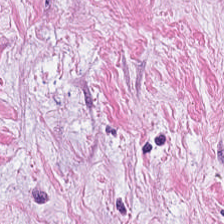Hematoxylin-and-eosin stained section — The tissue here is cancer-associated stroma.
